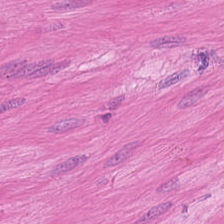H&E-stained section; the field shows smooth muscle.
